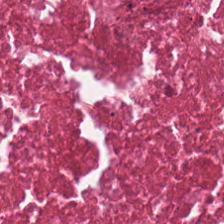Hematoxylin-and-eosin stained section.
Impression — cellular debris.
